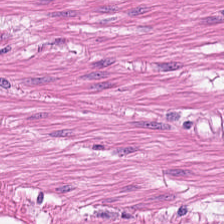The tissue here is smooth muscle.
